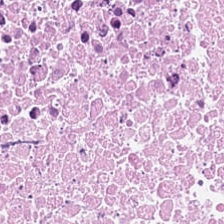H&E — debris.
